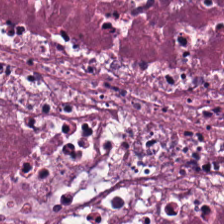{"tissue_type": "cellular debris"}
